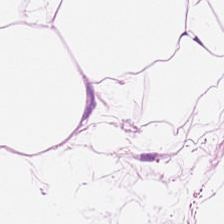H&E stain. Showing adipose.
